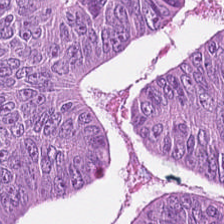H&E — colorectal adenocarcinoma epithelium.
